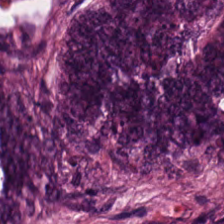224×224 pixel tile; hematoxylin-and-eosin stained section — The predominant tissue is colorectal adenocarcinoma epithelium.
